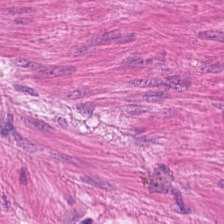0.5 µm/px · brightfield microscopy · H&E stain.
Q: What is shown in this field?
A: This is smooth muscle.
